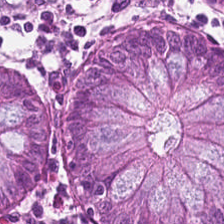Impression → non-neoplastic colon mucosa.
